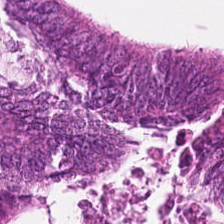Hematoxylin-and-eosin stained section. Q: What tissue is shown?
A: The field shows adenocarcinoma.
